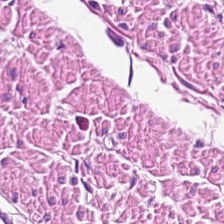Histology — smooth muscle.
